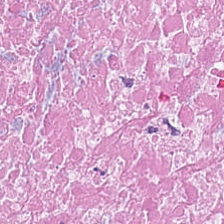Hematoxylin and eosin · 224×224 px patch · formalin-fixed paraffin-embedded section — Finding → cellular debris.
